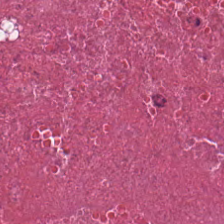H&E-stained tissue section.
This field is debris.
